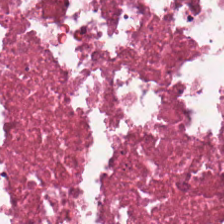Stain: H&E stain.
Classification: debris.
